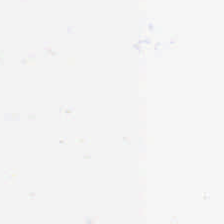Stain: H&E stain.
Field content: empty background.
